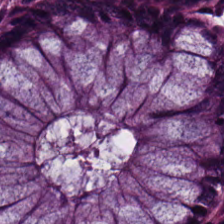0.5 µm per pixel · H&E-stained tissue section. Histology → non-neoplastic colon mucosa.
